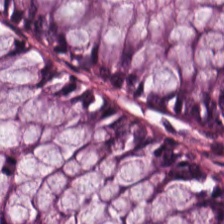Stain: hematoxylin-and-eosin stained section.
Tissue class: normal colon mucosa.
